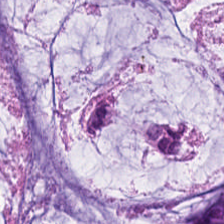224×224 pixel tile. H&E. Tissue — extracellular mucin.
